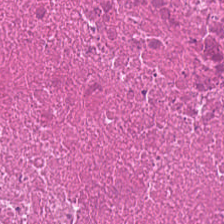The tissue is necrotic debris.
